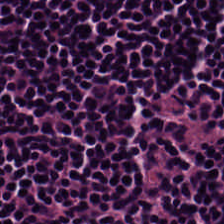Brightfield; hematoxylin-and-eosin stained section; 0.5 microns per pixel — This field is lymphoid infiltrate.
